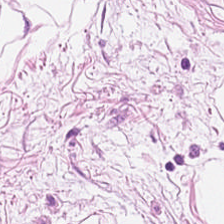H&E.
Q: What is shown here?
A: This is adipose.
